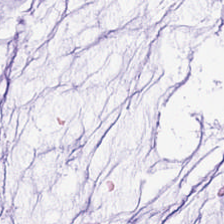224×224 px tile; hematoxylin-and-eosin stained section.
Q: What type of tissue is this?
A: It is mucus.
